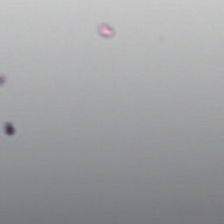Hematoxylin-and-eosin stained section · brightfield. This patch shows no tissue.
